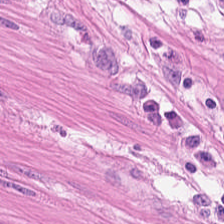H&E — Smooth-muscle tissue.
